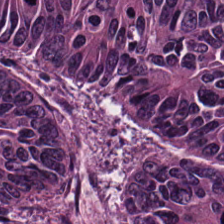Hematoxylin-and-eosin stained section · formalin-fixed paraffin-embedded section · 0.5 microns per pixel. Histology → tumor epithelium.
